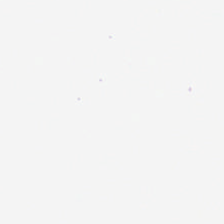Q: Classify this patch.
A: The field shows background.
